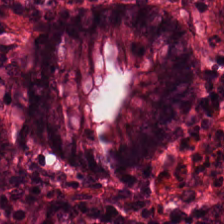Whole-slide-image patch · H&E — {"tissue_type": "non-neoplastic colon mucosa"}
